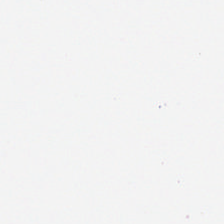H&E-stained tissue section — This patch shows empty background.
